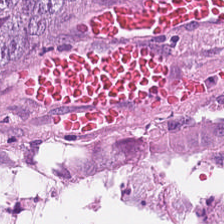{"tissue_type": "adenocarcinoma"}
